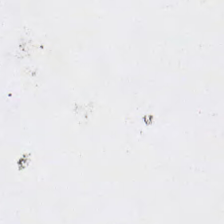H&E-stained tissue section. 20× equivalent magnification. 224×224 pixel tile. Classification = background.
